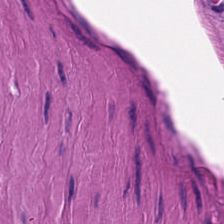0.5 microns per pixel; 224×224 pixel tile; H&E stain — Tissue type: smooth muscle.
